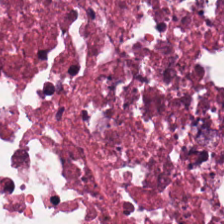Classification = debris.
